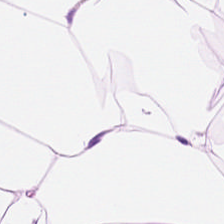Hematoxylin and eosin. Classification — adipocytes.
